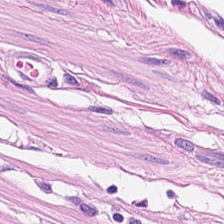Hematoxylin and eosin — Q: Classify this patch.
A: Smooth-muscle tissue.
